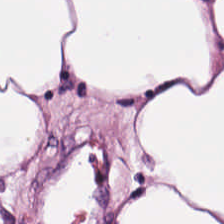Stain: H&E-stained tissue section.
Tissue type: fat tissue.
